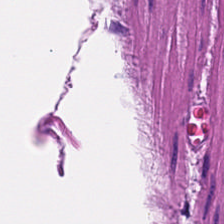Hematoxylin-and-eosin stained section · 224×224 pixel tile — The tissue type is muscularis.
